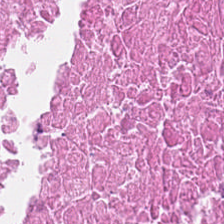The tissue type is debris.
